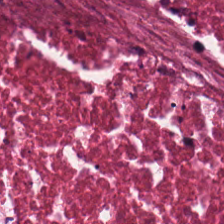Impression — cellular debris.
